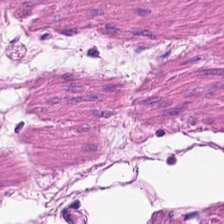Hematoxylin-and-eosin stained section. Tissue = smooth-muscle tissue.
